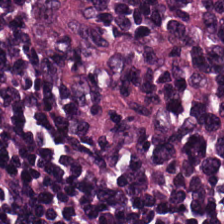Hematoxylin and eosin; formalin-fixed paraffin-embedded section — Predominant tissue: lymphoid infiltrate.
